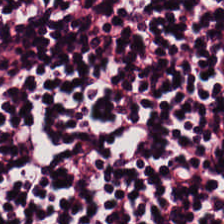Stain: H&E.
Tissue class: lymphoid infiltrate.
